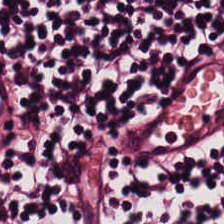H&E. The predominant tissue is lymphocytic infiltrate.
